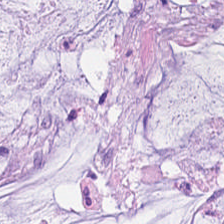Hematoxylin and eosin.
The predominant tissue is mucin.
